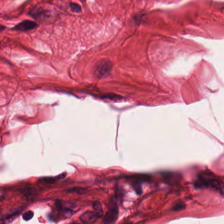WSI patch · H&E.
The tissue here is smooth muscle.
